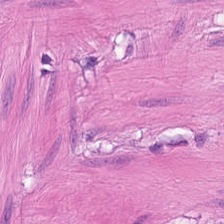H&E-stained tissue section · 0.5 µm per pixel.
Impression → muscularis.
